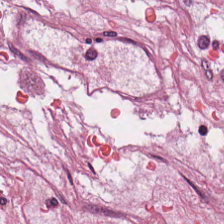H&E · FFPE · whole-slide-image patch. Q: What tissue is shown?
A: The field shows desmoplastic stroma.
